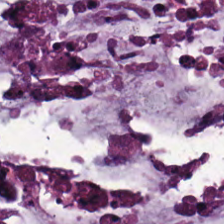Stain: hematoxylin and eosin.
Tile size: 224×224 px patch.
Predominant tissue: mucin.
